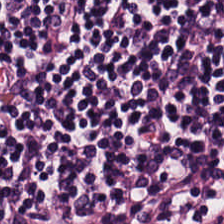Hematoxylin and eosin. Showing lymphoid infiltrate.
